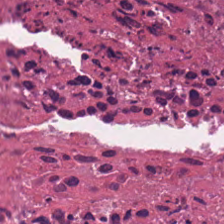Predominant tissue: debris.
